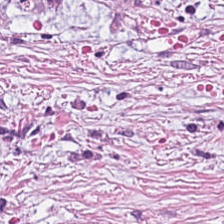H&E-stained tissue section.
Cancer-associated stroma.
